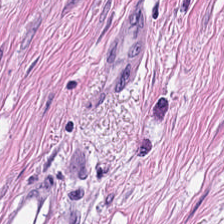Hematoxylin and eosin · 224×224 pixel tile · 0.5 µm per pixel — Q: What tissue type is shown here?
A: Muscularis.
